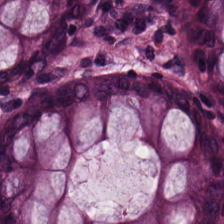Stain: hematoxylin-and-eosin stained section.
Classification: normal colonic mucosa.
